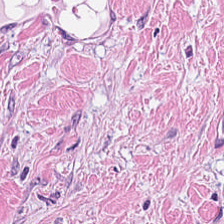Hematoxylin-and-eosin stained section — {"tissue_type": "desmoplastic stroma"}
